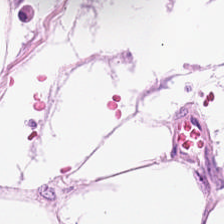Q: What is shown in this field?
A: It is fat tissue.
